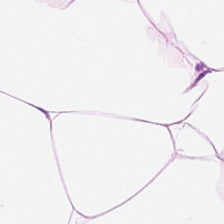Stain: hematoxylin and eosin.
Tissue: adipocytes.
